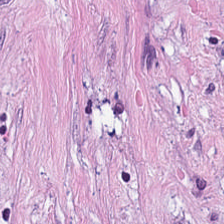Stain: H&E-stained tissue section.
Tile size: 224×224 px patch.
Resolution: 0.5 microns per pixel.
Classification: tumor stroma.
